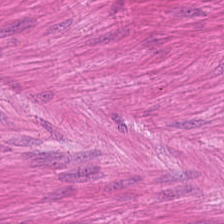Showing smooth-muscle tissue.
